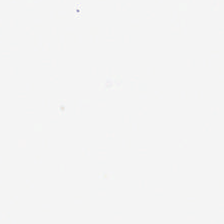H&E — Classification = background (no tissue).
